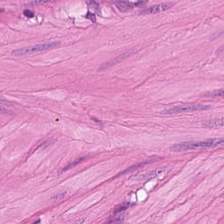224×224 px tile; hematoxylin-and-eosin stained section.
Q: Identify the tissue.
A: Smooth-muscle tissue.
